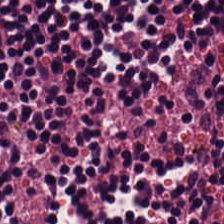Hematoxylin-and-eosin stained section. 224×224 pixel tile.
Tissue: lymphocytic infiltrate.
